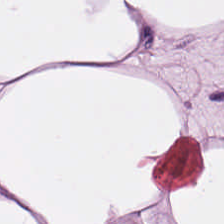224×224 px patch. H&E-stained tissue section. 0.5 µm/px — Q: What type of tissue is this?
A: This is adipose.
